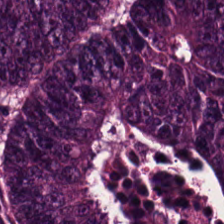H&E — {"tissue_type": "adenocarcinoma"}
